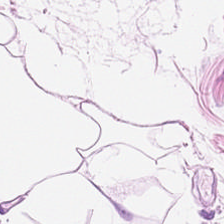Hematoxylin-and-eosin stained section.
The predominant tissue is adipose tissue.
